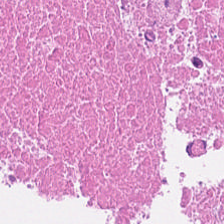H&E · whole-slide-image patch. Showing cellular debris.
